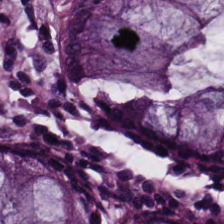Tissue class: benign colonic mucosa.
